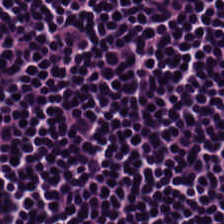0.5 µm per pixel. Hematoxylin and eosin. Brightfield microscopy.
This field is lymphocytes.
